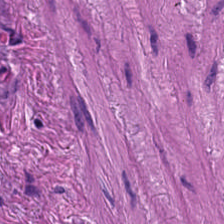FFPE; 224×224 px patch; H&E stain. Classification: smooth muscle.
